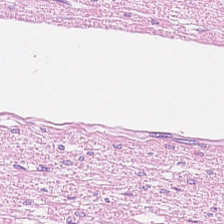Q: What is shown here?
A: This is smooth-muscle tissue.
